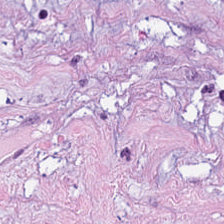Stain: H&E-stained tissue section.
Tissue type: cancer-associated stroma.
